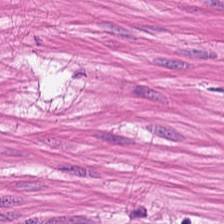Stain: H&E stain.
Tile size: 224×224 pixel tile.
Predominant tissue: smooth-muscle tissue.
